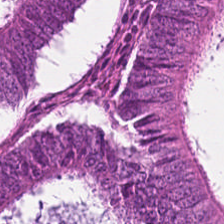224×224 px patch. 20× equivalent magnification. Hematoxylin and eosin — Adenocarcinoma.
